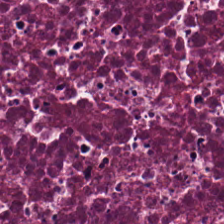H&E. Tissue type: cellular debris.
